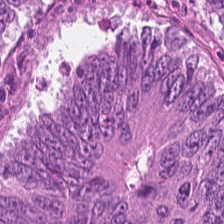Hematoxylin-and-eosin stained section.
Q: Identify the tissue.
A: Adenocarcinoma.
